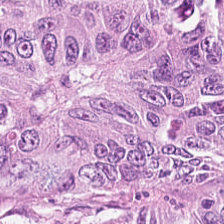Hematoxylin-and-eosin stained section.
Impression — colorectal adenocarcinoma.
